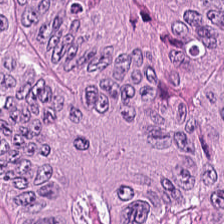Hematoxylin-and-eosin stained section. Brightfield. Predominant tissue: adenocarcinoma.
